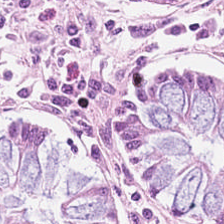Classification — benign colonic mucosa.
